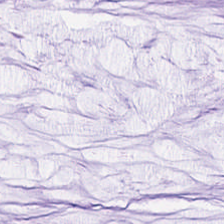Showing extracellular mucin.
